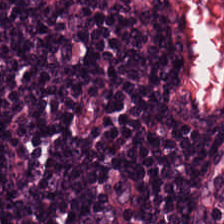The predominant tissue is lymphocytic infiltrate.
